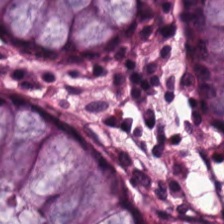Hematoxylin-and-eosin stained section.
Non-neoplastic colon mucosa.
